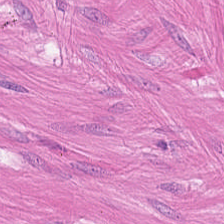Hematoxylin-and-eosin stained section. Brightfield microscopy. Formalin-fixed paraffin-embedded section. The predominant tissue is muscularis.
